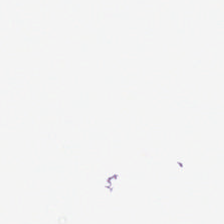Hematoxylin-and-eosin stained section.
No tissue present; background only.
